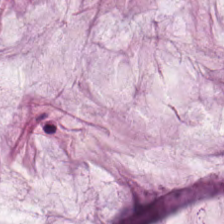Tissue type: mucus.
